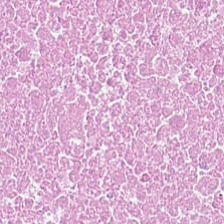H&E-stained tissue section. 224×224 px patch. Predominant tissue — debris.
